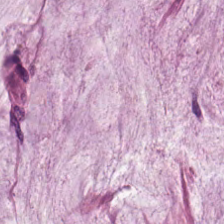Tissue type: mucin.
